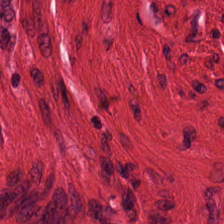H&E stain. WSI patch.
Predominantly smooth-muscle tissue.
